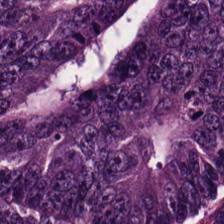224×224 px patch; hematoxylin-and-eosin stained section; FFPE tissue section.
The tissue here is adenocarcinoma.
